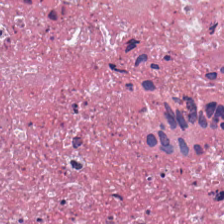Stain: H&E.
Classification: cellular debris.
